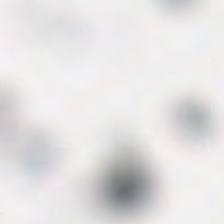This patch shows background (no tissue).
